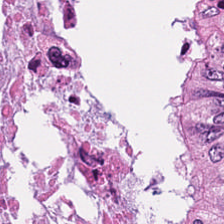Q: What type of tissue is this?
A: This is necrotic debris.
